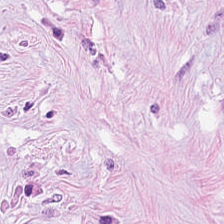Hematoxylin-and-eosin stained section; 0.5 microns per pixel. Q: What does this patch show?
A: Desmoplastic stroma.
